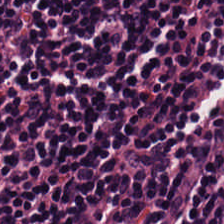H&E-stained tissue section. Brightfield microscopy.
Predominantly lymphocyte aggregate.
